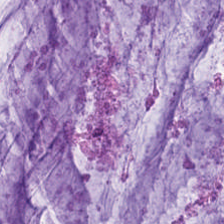Predominantly mucin.
